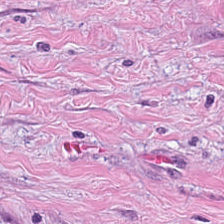Hematoxylin and eosin.
Q: What type of tissue is this?
A: It is cancer-associated stroma.
